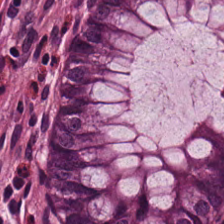H&E-stained tissue section — This patch shows non-neoplastic colon mucosa.
